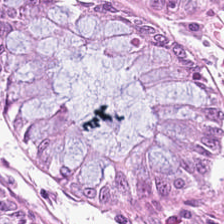{"tissue_type": "normal colonic mucosa"}
